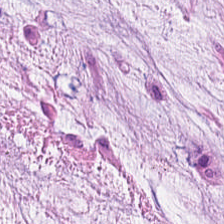Stain: hematoxylin-and-eosin stained section.
Classification: extracellular mucin.
